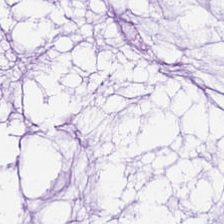H&E stain · whole-slide-image patch. Predominantly mucus.
